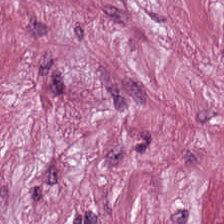Hematoxylin and eosin; formalin-fixed paraffin-embedded section. The predominant tissue is desmoplastic stroma.
